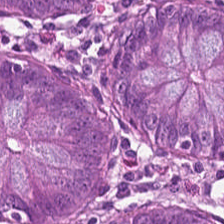H&E — Impression — normal colon mucosa.
